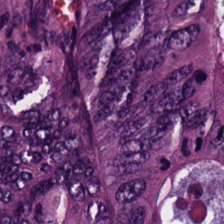Formalin-fixed paraffin-embedded section · hematoxylin and eosin · 0.5 µm per pixel — Q: What tissue is shown?
A: This is tumor epithelium.
